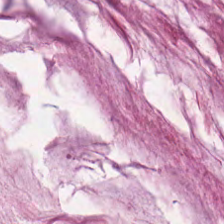Predominantly extracellular mucin.
